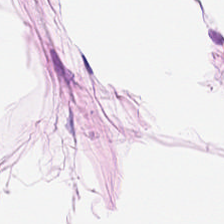H&E stain. 20× equivalent magnification — Tissue type — adipocytes.
